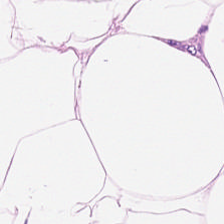H&E. The tissue class is fat tissue.
